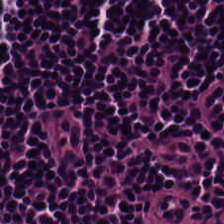H&E stain. Histology → lymphocytes.
